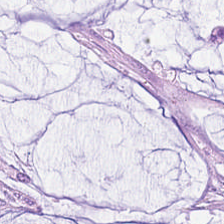Hematoxylin-and-eosin section: mucus.
